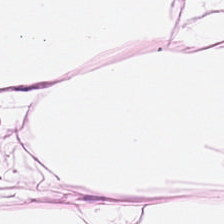H&E. Brightfield microscopy. Formalin-fixed paraffin-embedded section — This field is adipose.
